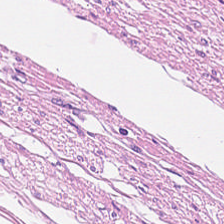224×224 px tile; hematoxylin-and-eosin stained section.
Q: Classify this patch.
A: It is smooth muscle.
